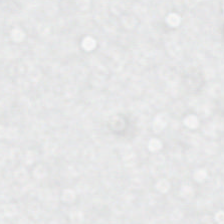H&E-stained tissue section; 20× equivalent magnification — Background — no tissue in this field.
